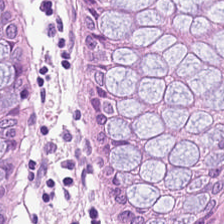FFPE tissue section; H&E.
Q: What is the predominant tissue type?
A: Benign colonic mucosa.
